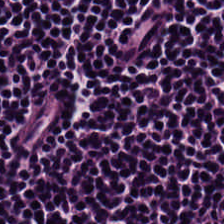Stain: H&E.
Tissue class: lymphoid infiltrate.
